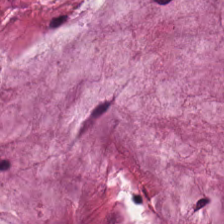Tissue = mucin.
